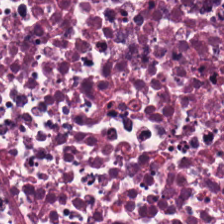0.5 µm/px · H&E-stained tissue section. Predominant tissue: debris.
